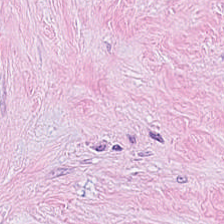FFPE tissue section; hematoxylin and eosin.
{"tissue_type": "tumor stroma"}
